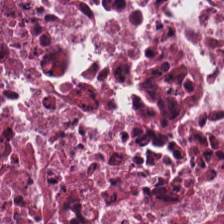This field is cellular debris.
